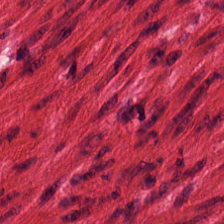H&E stain.
Predominant tissue = smooth muscle.
